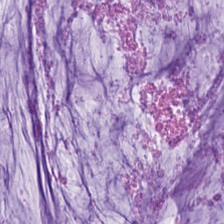Stain: H&E.
Tissue type: mucus.
